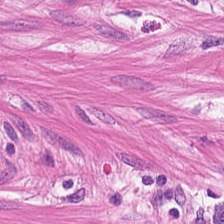Hematoxylin-and-eosin stained section. Classification = smooth muscle.
